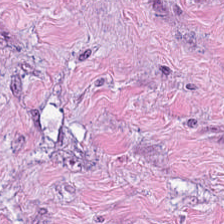FFPE; H&E-stained tissue section; 0.5 µm/px — Finding — desmoplastic stroma.
